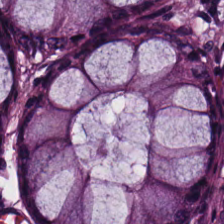FFPE; H&E.
This patch shows normal colon mucosa.
